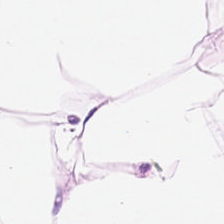This patch shows adipocytes.
